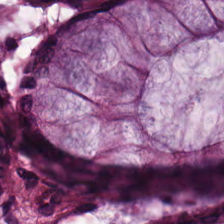H&E-stained tissue section · 0.5 microns per pixel. Classification: normal colonic mucosa.
